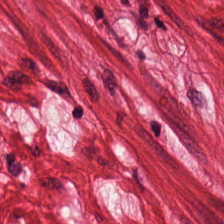Brightfield. Hematoxylin-and-eosin stained section. 224×224 pixel tile.
Smooth-muscle tissue.
